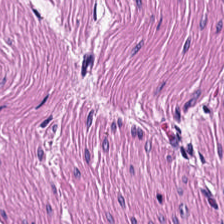Hematoxylin and eosin; 224×224 px patch; 20× equivalent magnification. Q: What tissue type is shown here?
A: This is smooth-muscle tissue.
